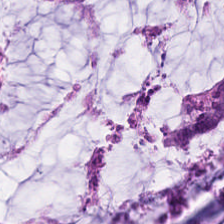Brightfield · H&E stain.
Showing extracellular mucin.
